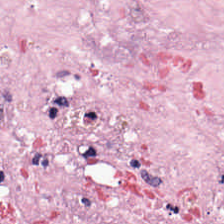H&E — {"tissue_type": "tumor stroma"}
